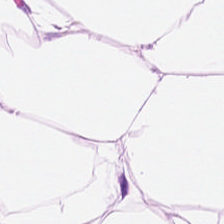Tissue — adipose tissue.
